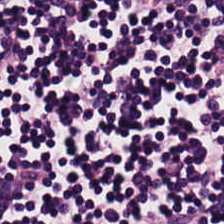H&E stain — Predominantly lymphocytes.
